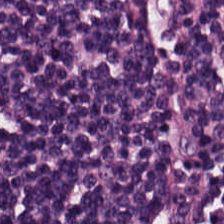Hematoxylin and eosin.
Lymphocyte aggregate.
